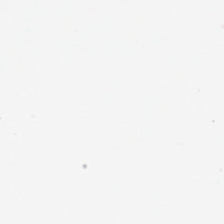Formalin-fixed paraffin-embedded section · hematoxylin and eosin — This patch shows background (no tissue).
